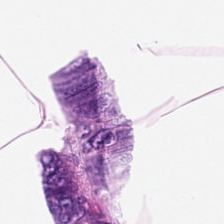Hematoxylin-and-eosin stained section. Histology — adipocytes.
